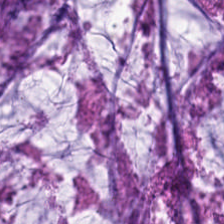WSI patch. Hematoxylin-and-eosin stained section — Q: What tissue is shown?
A: The field shows extracellular mucin.
